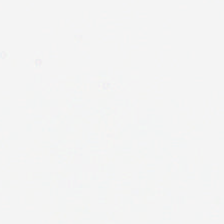H&E; FFPE tissue section. This field is background (no tissue).
